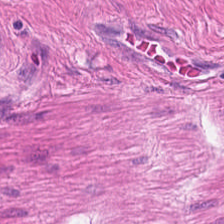Q: What is shown here?
A: Smooth muscle.
